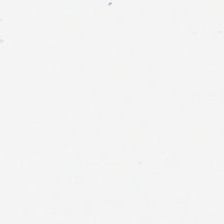Hematoxylin and eosin — No tissue.
